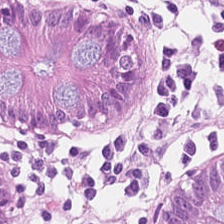H&E stain. Predominantly normal colonic mucosa.
